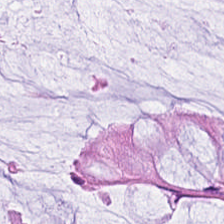Brightfield microscopy; hematoxylin and eosin. Tissue = non-neoplastic colon mucosa.
